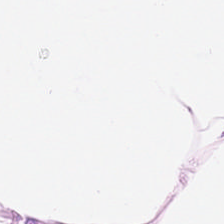H&E — This patch shows adipose.
